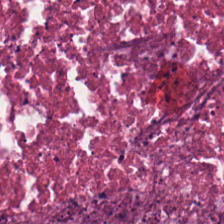The predominant tissue is necrotic debris.
